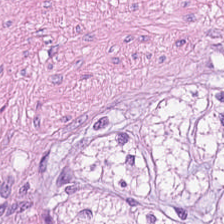Hematoxylin and eosin.
The tissue here is smooth muscle.
